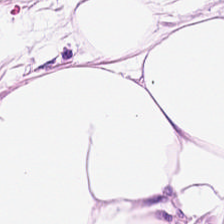Stain: H&E.
Tissue: adipose tissue.
